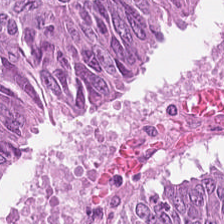H&E-stained tissue section.
Impression → malignant epithelium.
